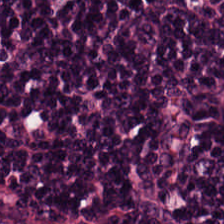H&E. Lymphoid infiltrate.
